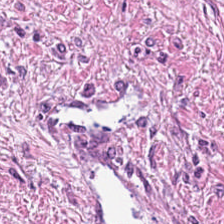Classification — tumor-associated stroma.
